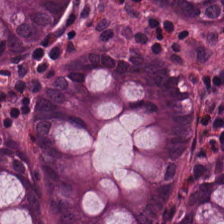FFPE · hematoxylin and eosin.
Finding → normal colonic mucosa.
